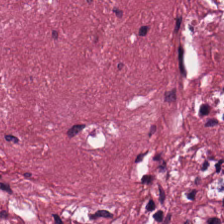0.5 µm per pixel · H&E stain · 224×224 px patch. Histology → tumor-associated stroma.
